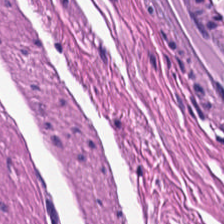H&E. This field is smooth-muscle tissue.
